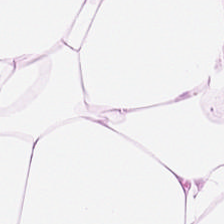Hematoxylin-and-eosin stained section. Fat tissue.
